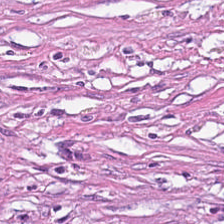H&E.
Tissue type — tumor stroma.
